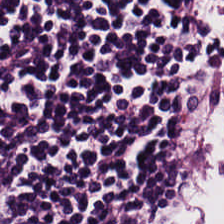H&E. 224×224 px patch — This field is lymphoid infiltrate.
